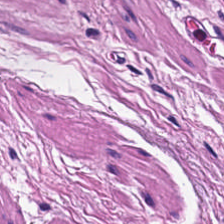Stain: H&E-stained tissue section.
Resolution: 0.5 µm/px.
Tissue: smooth muscle.
